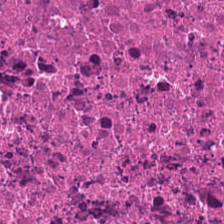Finding — debris.
